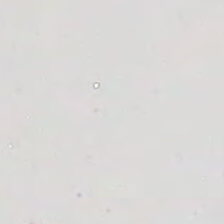H&E · brightfield. The classification is background (no tissue).
